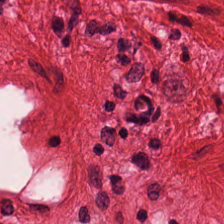H&E — Showing smooth-muscle tissue.
